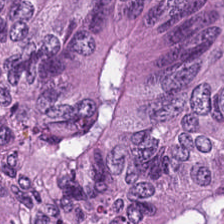0.5 µm/px · hematoxylin and eosin · FFPE — Q: What tissue is shown?
A: It is adenocarcinoma.
